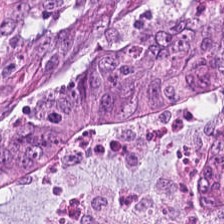Hematoxylin and eosin — Showing colorectal adenocarcinoma.
